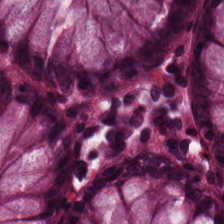FFPE · 224×224 px patch · H&E stain.
The tissue type is normal colonic mucosa.
